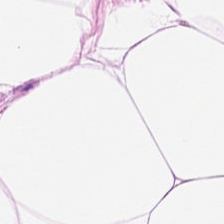Hematoxylin and eosin. 0.5 µm per pixel. Q: Classify this patch.
A: Adipose.
